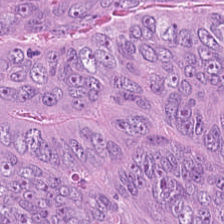H&E-stained section; the field shows malignant epithelium.
